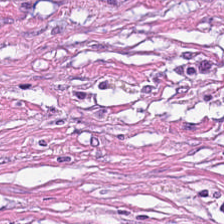H&E-stained tissue section · 0.5 µm per pixel · FFPE tissue section — The predominant tissue is desmoplastic stroma.
